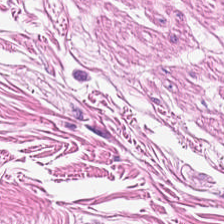Predominantly smooth-muscle tissue.
